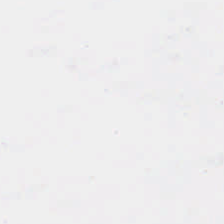Hematoxylin and eosin.
The classification is background (no tissue).
